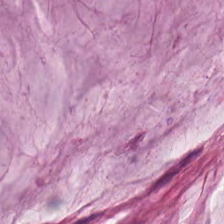H&E-stained tissue section. The predominant tissue is mucin.
